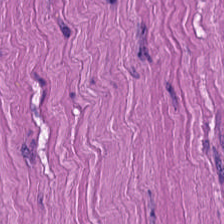Hematoxylin and eosin · 224×224 pixel tile — The tissue here is muscularis.
